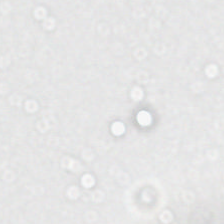Background — no tissue in this field.
